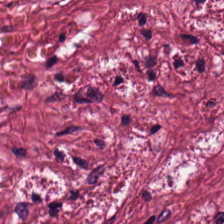Q: What tissue is shown?
A: Tumor stroma.
